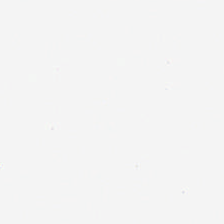224×224 px tile. Hematoxylin-and-eosin stained section.
Classification: no tissue.
